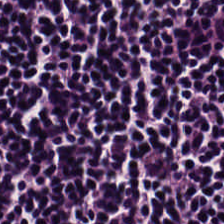H&E stain. Q: Classify this patch.
A: This is lymphoid infiltrate.
